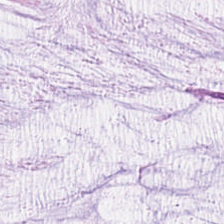Stain: hematoxylin and eosin.
Tissue: mucin.
